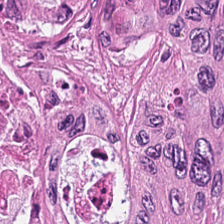224×224 px tile; 0.5 microns per pixel; hematoxylin-and-eosin stained section. Classification: adenocarcinoma.
